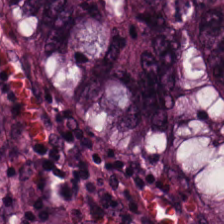Stain: H&E-stained tissue section.
Acquisition: WSI patch.
Classification: colorectal adenocarcinoma.
